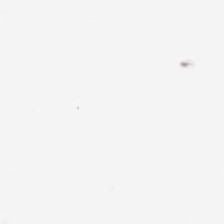Hematoxylin and eosin — No tissue present; background only.
